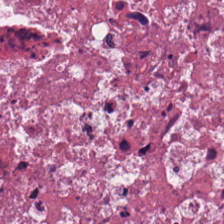Stain: hematoxylin and eosin.
Tile size: 224×224 px patch.
Predominant tissue: necrotic debris.
